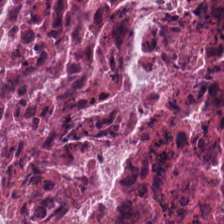H&E — necrotic debris.
